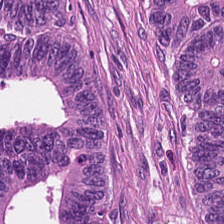Stain: H&E-stained tissue section.
Tissue type: malignant epithelium.
